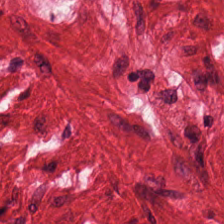Hematoxylin and eosin — The tissue type is smooth-muscle tissue.
